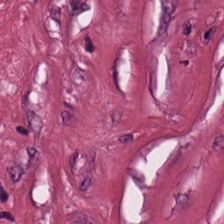224×224 pixel tile · hematoxylin and eosin · brightfield — The predominant tissue is tumor stroma.
